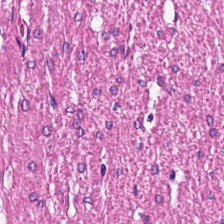Whole-slide-image patch · 20× equivalent magnification · hematoxylin-and-eosin stained section.
Smooth-muscle tissue.
